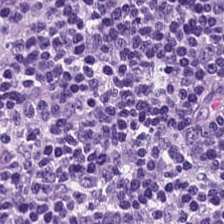H&E-stained tissue section — The tissue type is lymphocytes.
